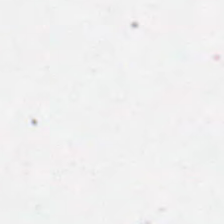Q: Classify this patch.
A: It is no tissue.
